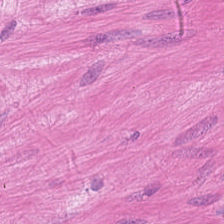Hematoxylin and eosin.
This patch shows smooth muscle.
